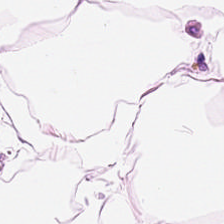FFPE tissue section; 224×224 px tile; H&E.
{"tissue_type": "adipose tissue"}
